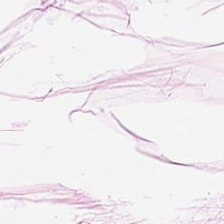Q: What is shown in this field?
A: It is adipose.
